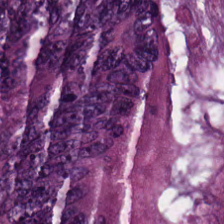H&E — This patch shows malignant epithelium.
